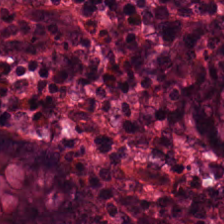H&E — Predominant tissue = non-neoplastic colon mucosa.
